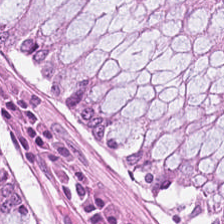Tissue class: normal colon mucosa.
